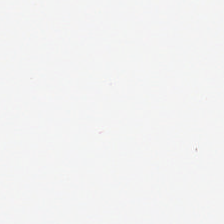0.5 µm per pixel · WSI patch · hematoxylin-and-eosin stained section. Field content: background (no tissue).
